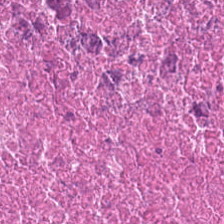H&E. Histology → necrotic debris.
